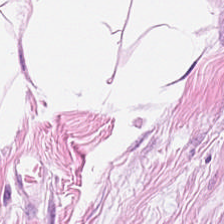0.5 µm per pixel. H&E stain — This patch shows adipocytes.
